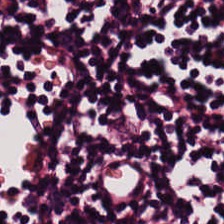H&E-stained tissue section. Lymphocyte aggregate.
